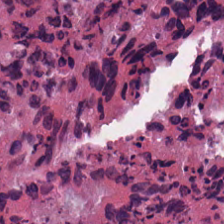Stain: H&E-stained tissue section.
Preparation: FFPE tissue section.
Tissue: cellular debris.
